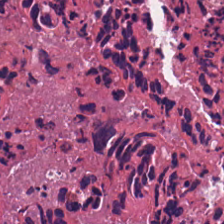Brightfield microscopy · H&E-stained tissue section — Histology → cellular debris.
